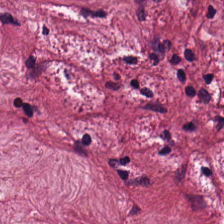0.5 µm/px · H&E stain.
Showing tumor-associated stroma.
